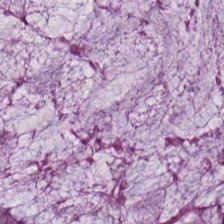H&E-stained tissue section.
Q: What does this patch show?
A: The field shows non-neoplastic colon mucosa.
